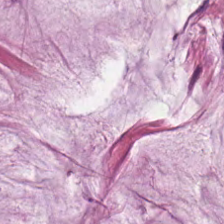WSI patch. H&E-stained tissue section. 224×224 px patch — Tissue type: mucus.
